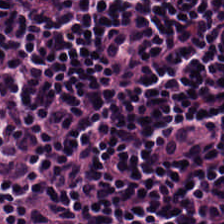H&E-stained tissue section; 224×224 pixel tile. The predominant tissue is lymphoid infiltrate.
